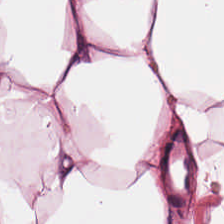H&E-stained section; the field shows fat tissue.
